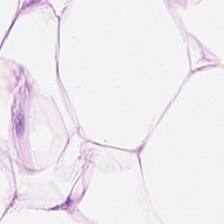Predominant tissue: fat tissue.
